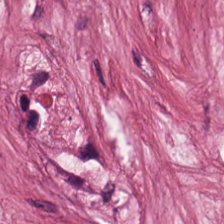H&E stain. Predominant tissue = desmoplastic stroma.
